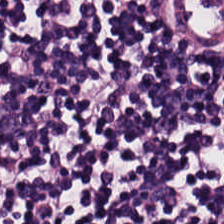H&E stain.
Predominantly lymphocyte aggregate.
